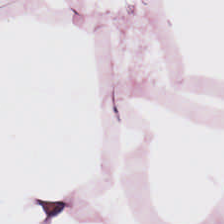H&E-stained section; the field shows fat tissue.
